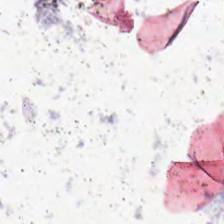Stain: H&E stain.
Preparation: FFPE.
Classification: background (no tissue).
